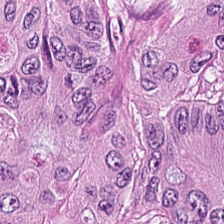0.5 microns per pixel; hematoxylin-and-eosin stained section; FFPE tissue section.
Predominantly colorectal adenocarcinoma epithelium.
